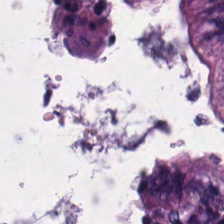Formalin-fixed paraffin-embedded section · H&E-stained tissue section — Tissue type = non-neoplastic colon mucosa.
